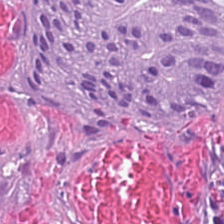Showing colorectal adenocarcinoma epithelium.
